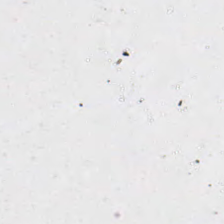Hematoxylin-and-eosin stained section — Classification — empty background.
